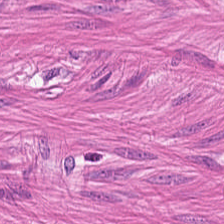{"tissue_type": "smooth muscle"}
